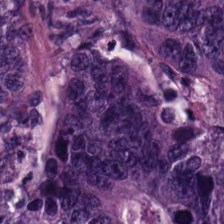The tissue class is adenocarcinoma.
